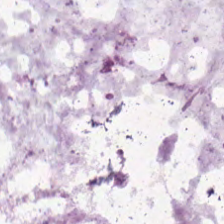H&E-stained tissue section. Q: What is shown here?
A: Extracellular mucin.
